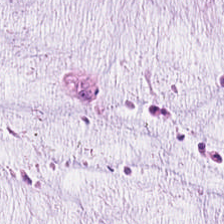H&E stain — Q: What is shown here?
A: Extracellular mucin.
